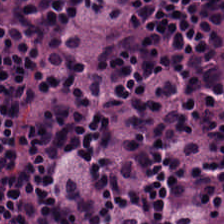Stain: hematoxylin and eosin.
Classification: lymphocyte aggregate.
